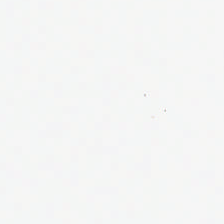H&E stain · formalin-fixed paraffin-embedded section — Q: What is shown in this field?
A: It is empty background.
